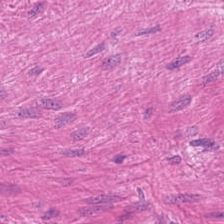Formalin-fixed paraffin-embedded section. Hematoxylin and eosin. 224×224 px tile — This patch shows smooth-muscle tissue.
